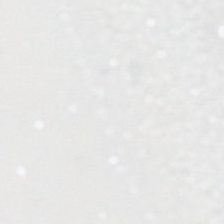0.5 µm/px. H&E stain — The classification is background (no tissue).
